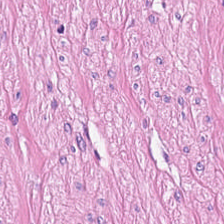Hematoxylin-and-eosin stained section. {"tissue_type": "smooth-muscle tissue"}
